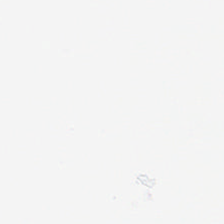H&E stain. Q: Classify this patch.
A: The field shows no tissue.
